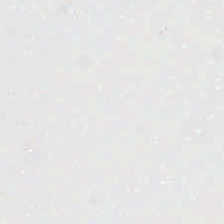Q: What is shown in this field?
A: The field shows no tissue.
